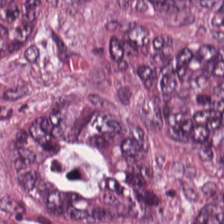Hematoxylin-and-eosin stained section; FFPE.
Tissue — tumor epithelium.
